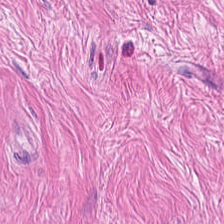H&E.
Tissue = smooth-muscle tissue.
